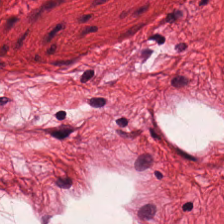Stain: hematoxylin and eosin.
Tissue: smooth-muscle tissue.
